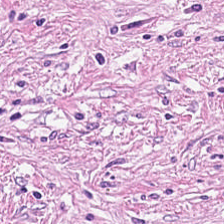224×224 pixel tile. Hematoxylin and eosin — The tissue here is tumor stroma.
